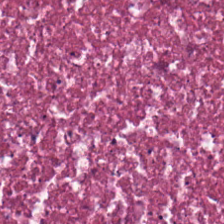H&E. Showing cellular debris.
